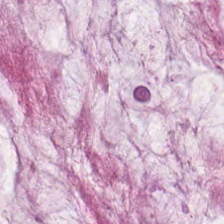H&E — Q: Classify this patch.
A: It is mucus.
